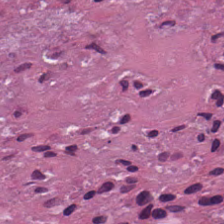Whole-slide-image patch; 0.5 µm per pixel; hematoxylin-and-eosin stained section — Q: What type of tissue is this?
A: Cellular debris.
